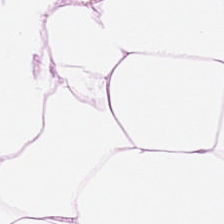0.5 µm/px · H&E-stained tissue section. The tissue here is adipose.
